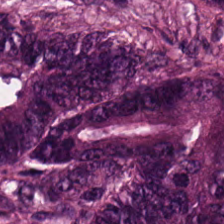Stain: hematoxylin and eosin.
Resolution: 0.5 microns per pixel.
Acquisition: brightfield microscopy.
Tissue class: malignant epithelium.
